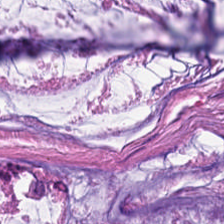H&E stain · FFPE.
Classification: extracellular mucin.
